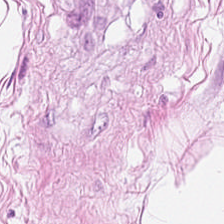H&E-stained tissue section — The predominant tissue is adipose tissue.
